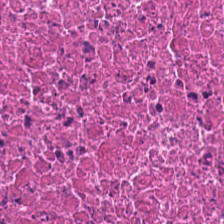Hematoxylin-and-eosin stained section · 224×224 px tile.
Finding — debris.
